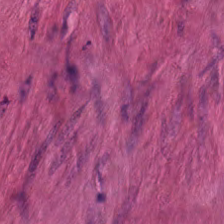0.5 µm per pixel; hematoxylin-and-eosin stained section. Q: What does this patch show?
A: This is smooth muscle.
